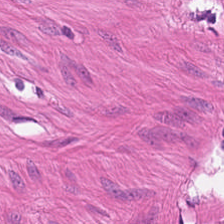H&E-stained tissue section. Predominantly muscularis.
